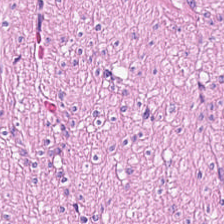0.5 µm/px. H&E — The tissue class is smooth muscle.
